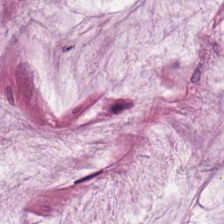Impression — mucus.
